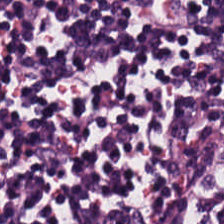Hematoxylin-and-eosin stained section. Tissue class = lymphocytes.
